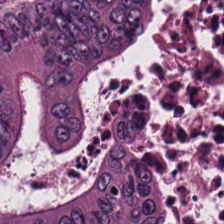Hematoxylin and eosin.
This field is colorectal adenocarcinoma epithelium.
